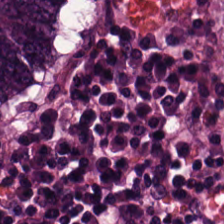Tissue class: adenocarcinoma.
